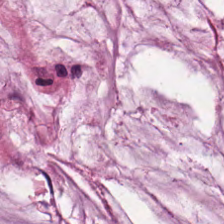224×224 px patch. Hematoxylin and eosin — The predominant tissue is mucus.
